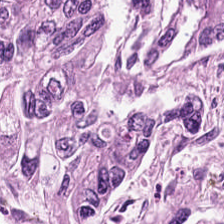H&E-stained tissue section showing tumor epithelium.
